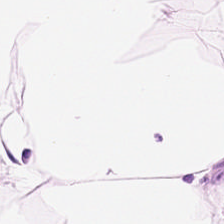Classification = adipose tissue.
